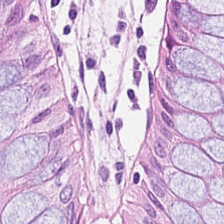H&E · 0.5 µm per pixel — Tissue class = normal colon mucosa.
